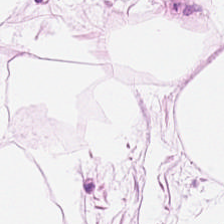Predominant tissue = adipose tissue.
